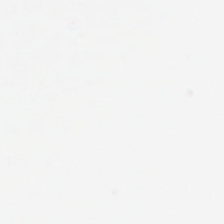Hematoxylin and eosin — Field content — empty background.
